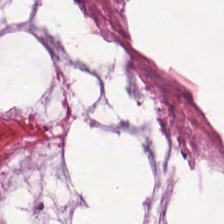Formalin-fixed paraffin-embedded section · 224×224 px tile · H&E — {"tissue_type": "mucin"}
